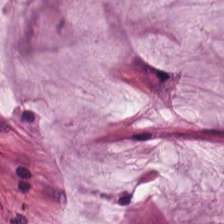Hematoxylin-and-eosin stained section. 224×224 px patch.
Q: What is shown in this field?
A: It is mucin.
